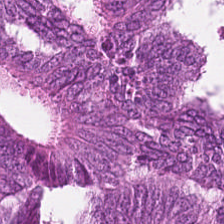Stain: hematoxylin-and-eosin stained section.
Predominant tissue: colorectal adenocarcinoma epithelium.
